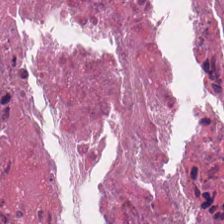224×224 pixel tile. H&E stain.
This patch shows cellular debris.
